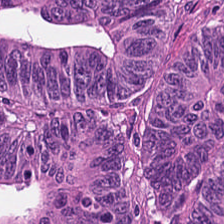Predominantly tumor epithelium.
